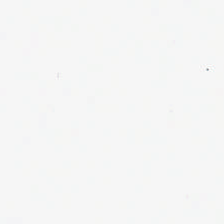Classification — background.
